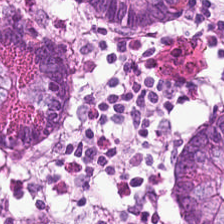Hematoxylin-and-eosin stained section. Finding — benign colonic mucosa.
